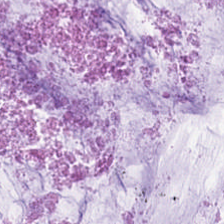H&E · FFPE tissue section.
Showing extracellular mucin.
